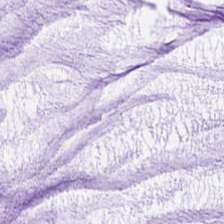H&E-stained tissue section · whole-slide-image patch · formalin-fixed paraffin-embedded section — The tissue here is mucus.
